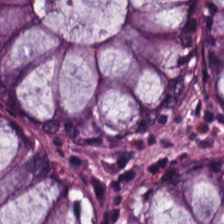Hematoxylin and eosin · 224×224 px patch. Histology — non-neoplastic colon mucosa.
